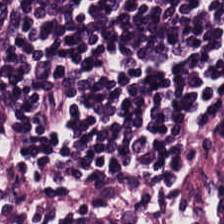The predominant tissue is lymphocytes.
